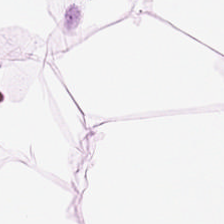Brightfield. FFPE tissue section. Hematoxylin-and-eosin stained section. Predominantly adipose tissue.
